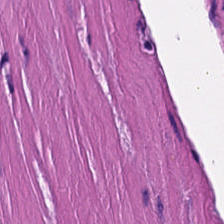224×224 px tile · hematoxylin-and-eosin stained section. This field is muscularis.
